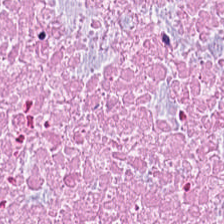H&E — Classification: debris.
